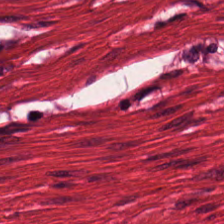H&E stain; 0.5 µm/px.
Histology → smooth-muscle tissue.
